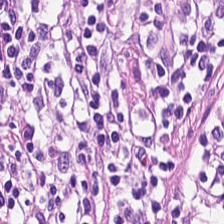Formalin-fixed paraffin-embedded section; H&E-stained tissue section.
Tissue class — lymphocytes.
